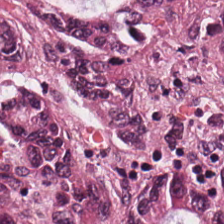H&E — Adenocarcinoma.
